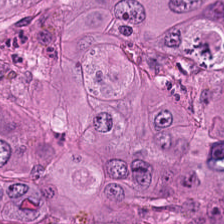Brightfield; formalin-fixed paraffin-embedded section; hematoxylin-and-eosin stained section. The tissue is malignant epithelium.
